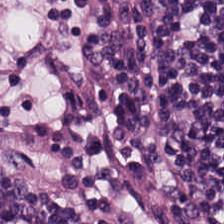H&E stain; FFPE; 224×224 px tile — This field is lymphoid infiltrate.
